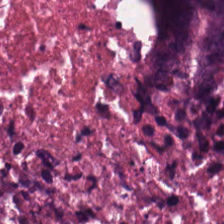Stain: hematoxylin-and-eosin stained section.
Preparation: FFPE tissue section.
Tile size: 224×224 px tile.
Tissue: cellular debris.
